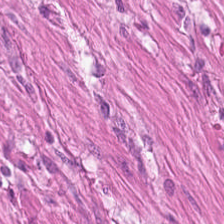Hematoxylin-and-eosin stained section.
Q: What type of tissue is this?
A: The field shows smooth-muscle tissue.
